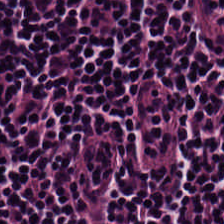Brightfield microscopy · FFPE · hematoxylin-and-eosin stained section.
Classification: lymphocyte aggregate.
